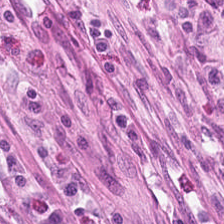Impression — normal colonic mucosa.
